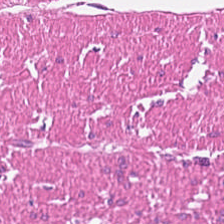Formalin-fixed paraffin-embedded section. H&E-stained tissue section. Predominant tissue — muscularis.
